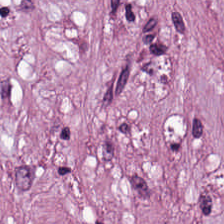H&E stain; 224×224 px patch.
Q: What is shown here?
A: Cancer-associated stroma.
